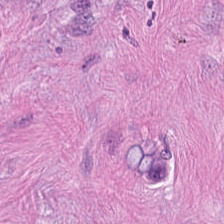H&E-stained tissue section.
Showing tumor stroma.
